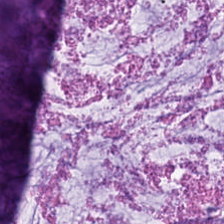Whole-slide-image patch · 0.5 microns per pixel · H&E — Predominantly mucin.
